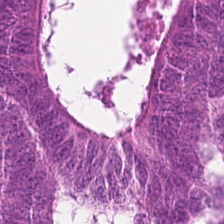H&E-stained tissue section. 224×224 px tile. The predominant tissue is adenocarcinoma.
